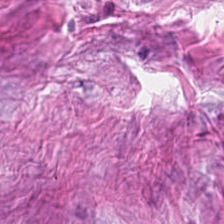H&E — Classification = tumor stroma.
